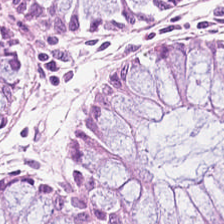FFPE tissue section. 224×224 pixel tile. Hematoxylin-and-eosin stained section — Impression — non-neoplastic colon mucosa.
